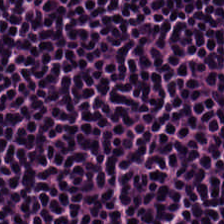H&E — Q: Identify the tissue.
A: This is lymphocytic infiltrate.
